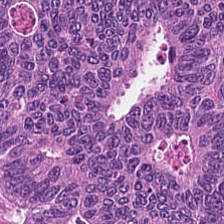Finding — colorectal adenocarcinoma epithelium.
